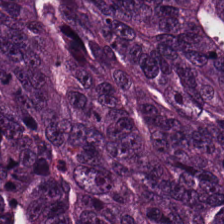Histology — colorectal adenocarcinoma.
